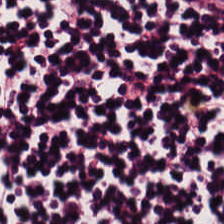Finding → lymphoid infiltrate.
